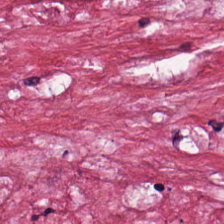Q: What is shown here?
A: Cancer-associated stroma.
